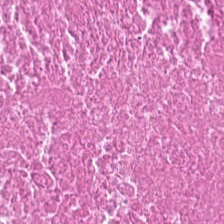Hematoxylin-and-eosin stained section. 0.5 µm per pixel. The tissue is cellular debris.
